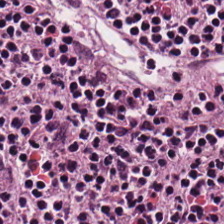WSI patch; hematoxylin-and-eosin stained section; 224×224 pixel tile. Finding → lymphocytes.
